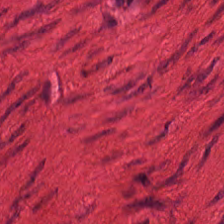Hematoxylin and eosin. Q: What is shown here?
A: The field shows muscularis.
